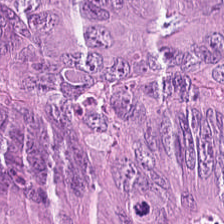This patch shows adenocarcinoma.
